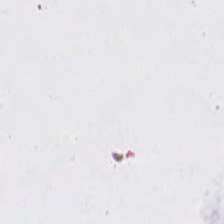This patch shows background (no tissue).
